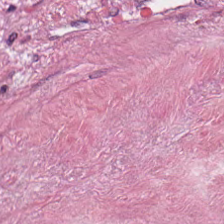0.5 µm per pixel · hematoxylin and eosin. Tissue type: desmoplastic stroma.
